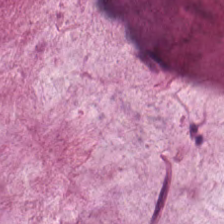0.5 µm/px; H&E-stained tissue section.
Tissue: extracellular mucin.
